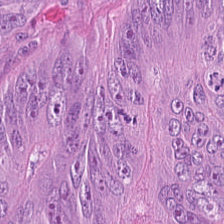Stain: H&E-stained tissue section.
Tissue type: tumor epithelium.
